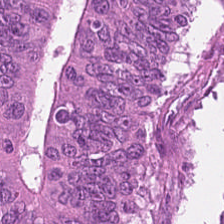Hematoxylin and eosin · 0.5 µm per pixel — Tissue type — colorectal adenocarcinoma.
